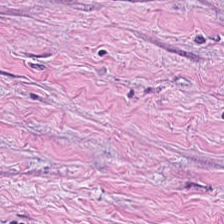Classification: cancer-associated stroma.
